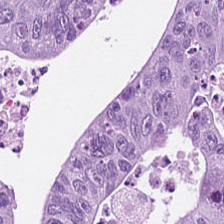Classification — colorectal adenocarcinoma epithelium.
